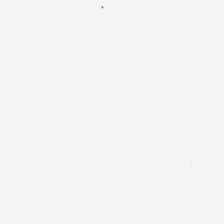Hematoxylin-and-eosin stained section.
Impression — empty background.
